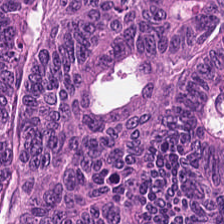H&E.
This patch shows colorectal adenocarcinoma.
